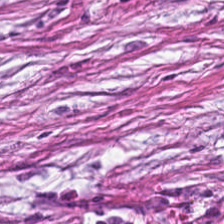The tissue type is desmoplastic stroma.
